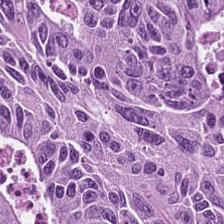H&E-stained tissue section.
Showing colorectal adenocarcinoma.
